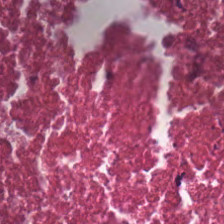Stain: H&E.
Acquisition: brightfield.
Predominant tissue: debris.
